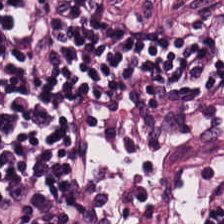Tissue — lymphocytes.
